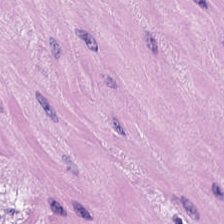Q: What tissue type is shown here?
A: The field shows muscularis.
